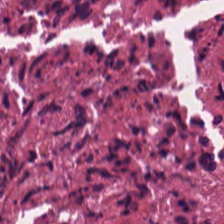0.5 µm/px. H&E stain.
The predominant tissue is cellular debris.
